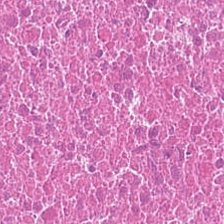The predominant tissue is necrotic debris.
